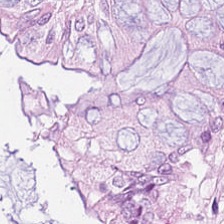Hematoxylin-and-eosin stained section. 0.5 µm per pixel — This field is benign colonic mucosa.
